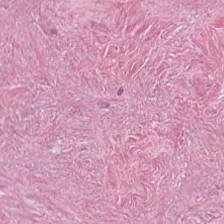Stain: H&E.
Tissue: cancer-associated stroma.
